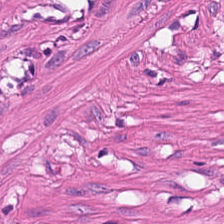Tissue class: smooth-muscle tissue.
